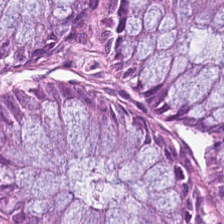The tissue type is normal colonic mucosa.
